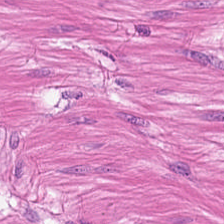Tissue type — muscularis.
